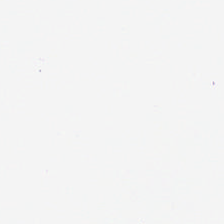H&E-stained tissue section. WSI patch.
Field content — background.
